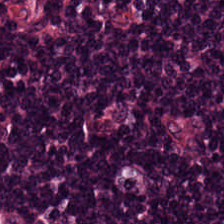Whole-slide-image patch; H&E-stained tissue section — The predominant tissue is lymphoid infiltrate.
